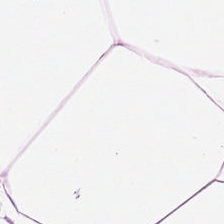This field is fat tissue.
